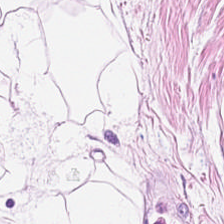Hematoxylin-and-eosin stained section — The classification is adipose.
